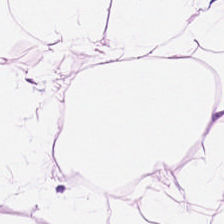0.5 microns per pixel. Brightfield. H&E-stained tissue section. The predominant tissue is adipose.
